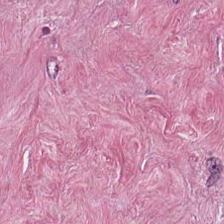Hematoxylin-and-eosin stained section · 0.5 µm/px — Q: What type of tissue is this?
A: The field shows tumor-associated stroma.
